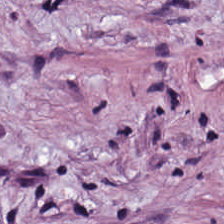H&E-stained tissue section · FFPE tissue section · 0.5 microns per pixel.
This patch shows desmoplastic stroma.
